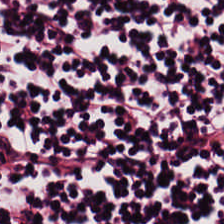H&E stain — Q: What type of tissue is this?
A: The field shows lymphocyte aggregate.
